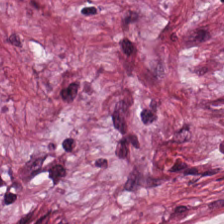Hematoxylin-and-eosin stained section. Tissue type — desmoplastic stroma.
